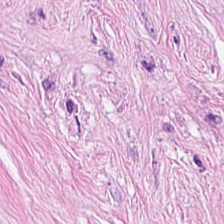Hematoxylin-and-eosin stained section — The predominant tissue is tumor stroma.
